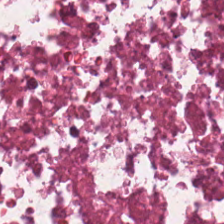Hematoxylin and eosin — This patch shows necrotic debris.
